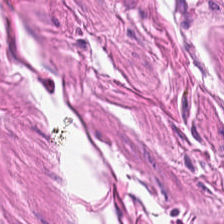Stain: hematoxylin and eosin.
Tissue class: smooth muscle.
